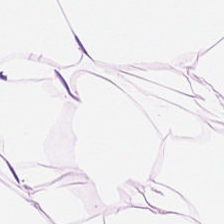Stain: H&E.
Tile size: 224×224 pixel tile.
Classification: fat tissue.
